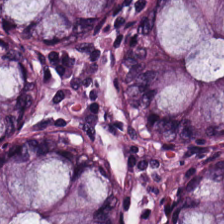Hematoxylin-and-eosin stained section · 224×224 pixel tile · brightfield — Tissue: benign colonic mucosa.
